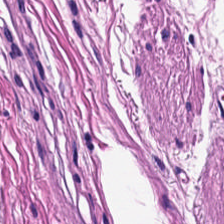Hematoxylin and eosin. Smooth-muscle tissue.
